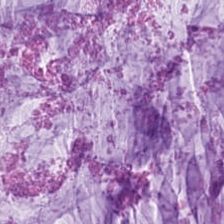H&E — Classification — mucus.
